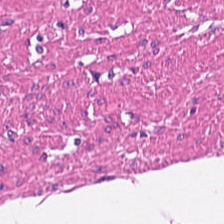Hematoxylin and eosin — Tissue type = muscularis.
